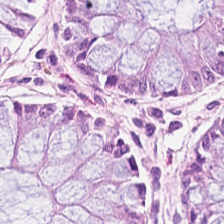Q: What tissue is shown?
A: Benign colonic mucosa.
